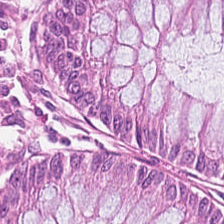Formalin-fixed paraffin-embedded section; 0.5 µm per pixel; H&E. Showing normal colon mucosa.
